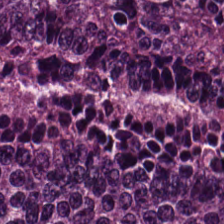Impression — colorectal adenocarcinoma.
